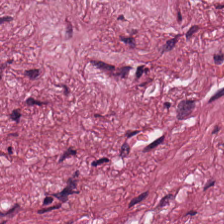H&E stain.
Tissue class — desmoplastic stroma.
